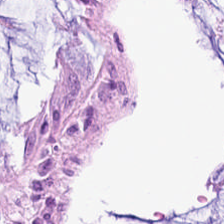H&E. Normal colon mucosa.
